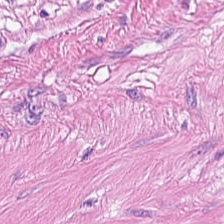This patch shows smooth-muscle tissue.
